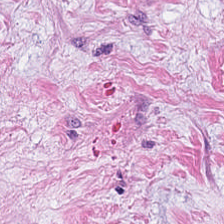Stain: H&E.
Tissue: desmoplastic stroma.
